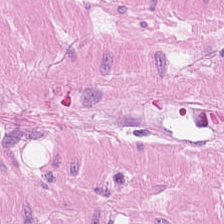H&E-stained tissue section — Q: What is shown here?
A: It is muscularis.
